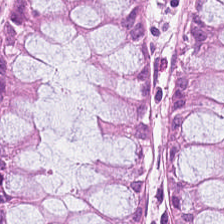Stain: H&E-stained tissue section.
Tissue type: benign colonic mucosa.
